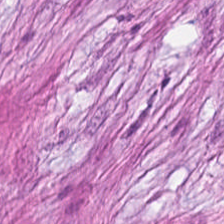Stain: H&E-stained tissue section.
Acquisition: whole-slide-image patch.
Tissue: cancer-associated stroma.
